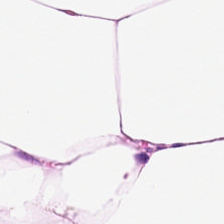H&E-stained tissue section. This patch shows adipocytes.
